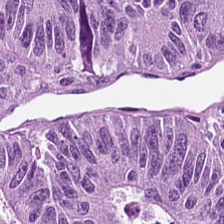H&E-stained tissue section showing adenocarcinoma.
